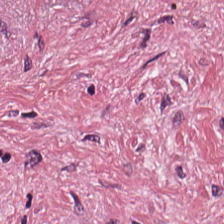H&E — tumor stroma.
